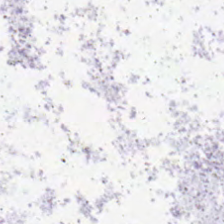Impression → background (no tissue).
